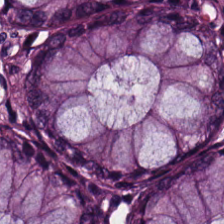H&E stain — The tissue here is benign colonic mucosa.
